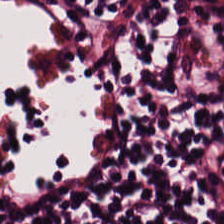Hematoxylin and eosin; FFPE; 0.5 microns per pixel — Predominant tissue — lymphocytes.
